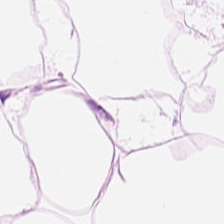Stain: hematoxylin-and-eosin stained section.
Acquisition: brightfield.
Preparation: formalin-fixed paraffin-embedded section.
Predominant tissue: adipocytes.
